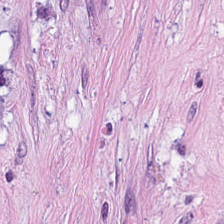Stain: hematoxylin-and-eosin stained section.
Tissue: desmoplastic stroma.
